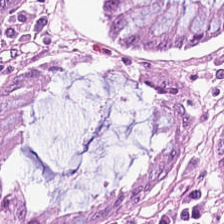0.5 µm per pixel; hematoxylin-and-eosin stained section; brightfield microscopy.
This patch shows non-neoplastic colon mucosa.
